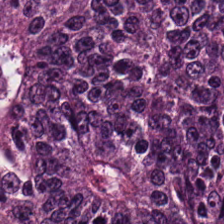Hematoxylin-and-eosin stained section — This patch shows adenocarcinoma.
